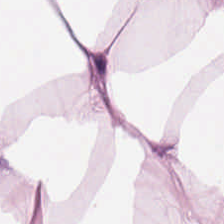0.5 µm per pixel. H&E stain — Tissue type = fat tissue.
